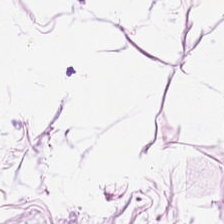Hematoxylin and eosin.
Predominantly fat tissue.
